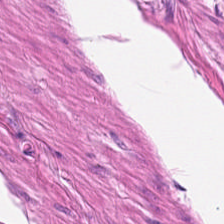Hematoxylin-and-eosin section: muscularis.
